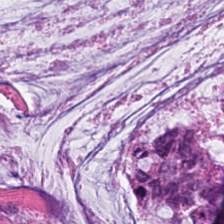Stain: H&E-stained tissue section.
Classification: mucus.
